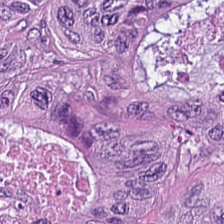The predominant tissue is adenocarcinoma.
